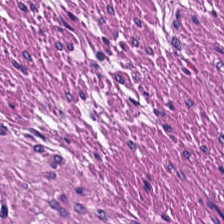H&E.
Classification: muscularis.
